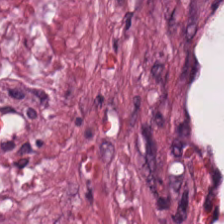Tissue — tumor-associated stroma.
